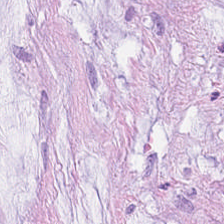H&E-stained tissue section.
Q: Classify this patch.
A: The field shows mucus.
